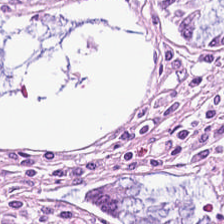{"tissue_type": "non-neoplastic colon mucosa"}
